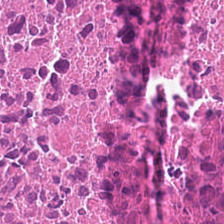The tissue class is necrotic debris.
